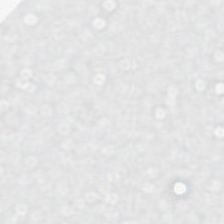H&E stain · 224×224 px patch. This field is background (no tissue).
